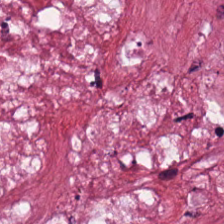Brightfield · H&E-stained tissue section. This field is cancer-associated stroma.
